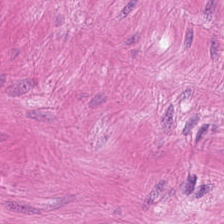H&E — Muscularis.
